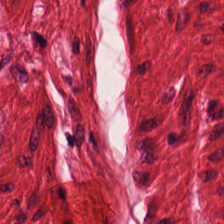Q: What is the predominant tissue type?
A: This is smooth muscle.
